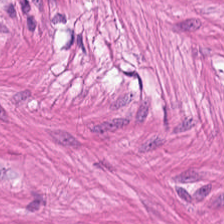H&E-stained tissue section — Showing smooth-muscle tissue.
